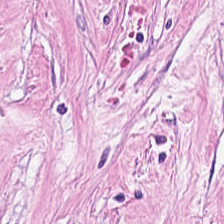Stain: H&E.
Resolution: 0.5 µm per pixel.
Tissue type: desmoplastic stroma.
